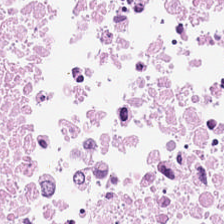Hematoxylin-and-eosin stained section — Tissue type: necrotic debris.
